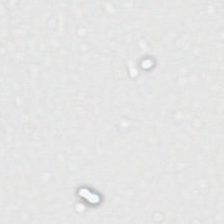Whole-slide-image patch; H&E stain — Q: Classify this patch.
A: It is empty background.
